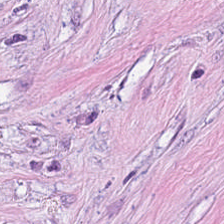H&E. Q: What is shown in this field?
A: It is tumor stroma.
